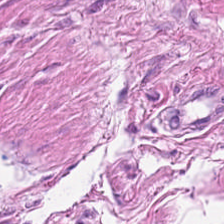224×224 px patch; FFPE; hematoxylin and eosin. This field is smooth muscle.
